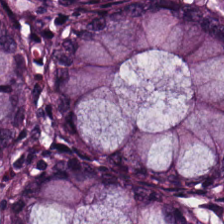Stain: hematoxylin-and-eosin stained section.
Tissue type: normal colonic mucosa.
